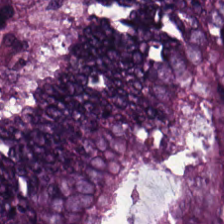Finding → adenocarcinoma.
